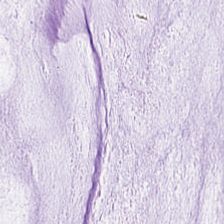Stain: H&E-stained tissue section.
Resolution: 0.5 microns per pixel.
Tissue class: mucus.
